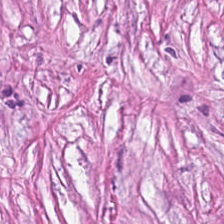Hematoxylin and eosin. WSI patch — The tissue here is desmoplastic stroma.
